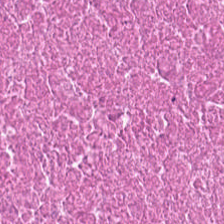H&E stain. {"tissue_type": "debris"}
